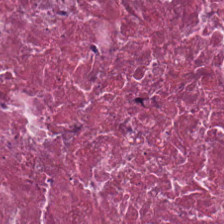H&E — The predominant tissue is cellular debris.
